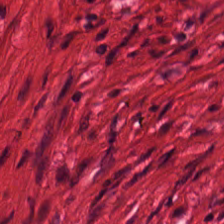FFPE tissue section · 0.5 µm per pixel · H&E.
The predominant tissue is smooth muscle.
